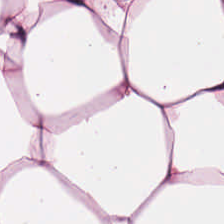Hematoxylin-and-eosin stained section. Whole-slide-image patch — Histology — adipose tissue.
